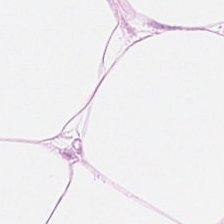Stain: H&E stain.
Predominant tissue: fat tissue.
